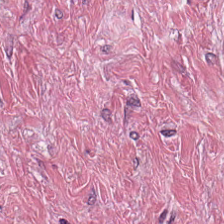Stain: hematoxylin and eosin.
Classification: cancer-associated stroma.
